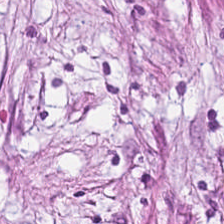Formalin-fixed paraffin-embedded section; 224×224 pixel tile; hematoxylin and eosin — Tissue class — tumor stroma.
